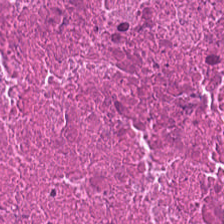Finding — debris.
